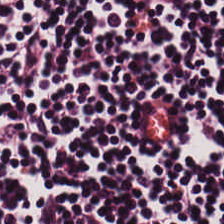224×224 px patch; H&E. Finding — lymphocytic infiltrate.
